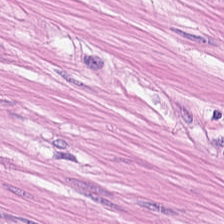0.5 microns per pixel. Hematoxylin and eosin. This field is muscularis.
